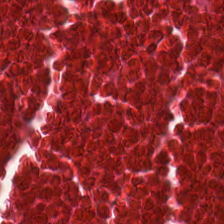Hematoxylin-and-eosin stained section. Q: What is shown in this field?
A: The field shows cellular debris.
